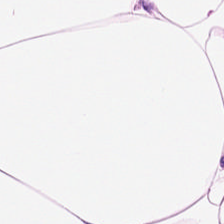H&E.
This field is fat tissue.
